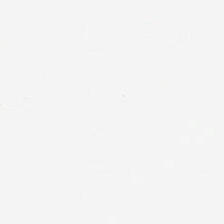Hematoxylin and eosin.
No tissue present; background only.
